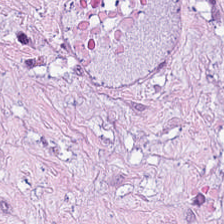H&E.
Tissue = tumor stroma.
